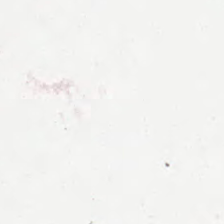H&E — Histology → empty background.
